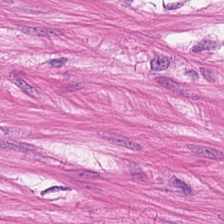Predominantly smooth-muscle tissue.
